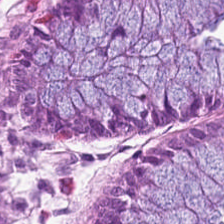Stain: hematoxylin and eosin.
Predominant tissue: non-neoplastic colon mucosa.
